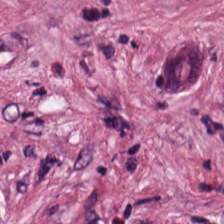Hematoxylin-and-eosin stained section; 0.5 µm per pixel — Q: What is shown here?
A: It is desmoplastic stroma.
